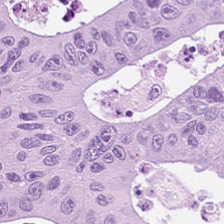0.5 µm/px; H&E. Histology — colorectal adenocarcinoma epithelium.
